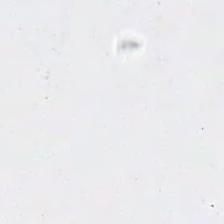Hematoxylin-and-eosin stained section. Field content: no tissue.
